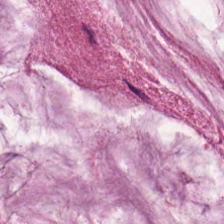Hematoxylin and eosin; 0.5 µm/px — Predominantly mucus.
